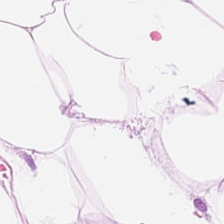Stain: H&E-stained tissue section.
Tile size: 224×224 px patch.
Classification: adipose.
